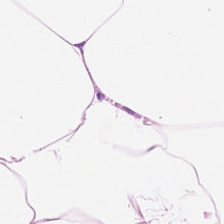H&E stain. The tissue here is adipocytes.
